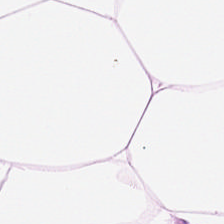H&E-stained tissue section. Tissue — adipocytes.
